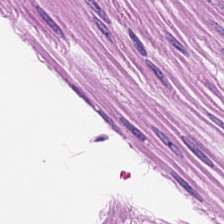Hematoxylin-and-eosin stained section; 0.5 µm/px.
Finding → smooth-muscle tissue.
